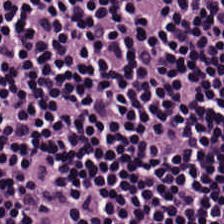H&E-stained tissue section. Q: What is shown here?
A: This is lymphocyte aggregate.
